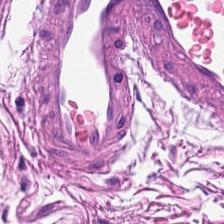Tissue type = smooth-muscle tissue.
